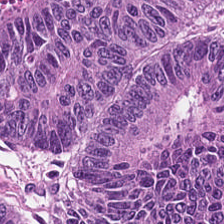Stain: H&E.
Preparation: formalin-fixed paraffin-embedded section.
Resolution: 0.5 µm/px.
Classification: tumor epithelium.
